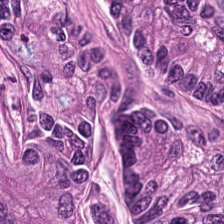Hematoxylin and eosin.
The predominant tissue is colorectal adenocarcinoma.
